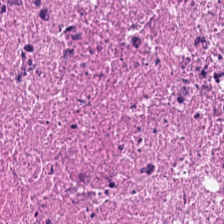Q: What tissue type is shown here?
A: This is debris.
